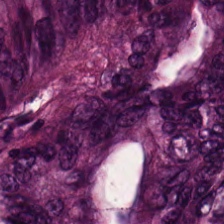Hematoxylin and eosin · FFPE · WSI patch.
This field is malignant epithelium.
